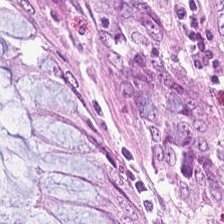Stain: H&E-stained tissue section.
Resolution: 20× equivalent magnification.
Tissue class: normal colonic mucosa.
